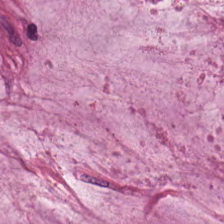Hematoxylin and eosin. This field is extracellular mucin.
